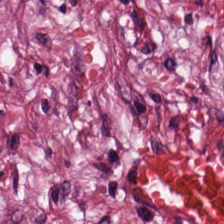Hematoxylin-and-eosin section: tumor-associated stroma.
